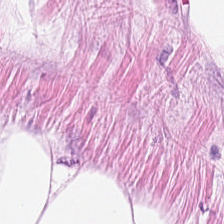H&E-stained tissue section.
Tissue class — fat tissue.
